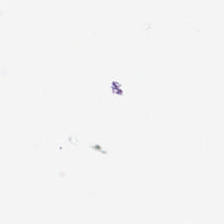Stain: hematoxylin and eosin.
Content: background.
